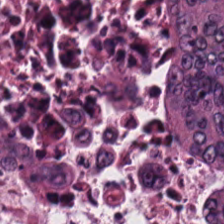H&E-stained tissue section.
This patch shows malignant epithelium.
